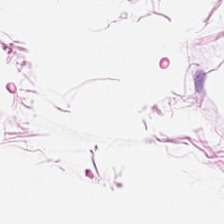224×224 px patch; FFPE; H&E. Predominantly adipose.
